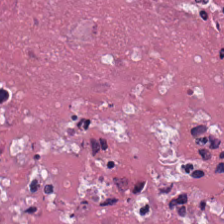H&E stain — Tissue class = necrotic debris.
